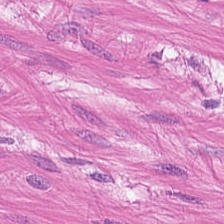H&E stain. Q: Classify this patch.
A: Muscularis.
